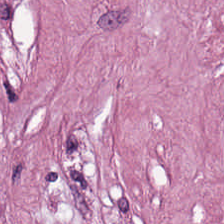FFPE tissue section · H&E.
Predominantly tumor-associated stroma.
